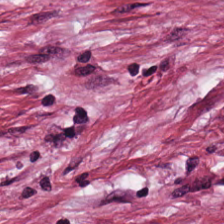H&E. WSI patch — Predominant tissue = desmoplastic stroma.
